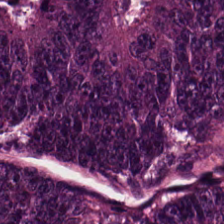H&E-stained tissue section. Tissue — malignant epithelium.
